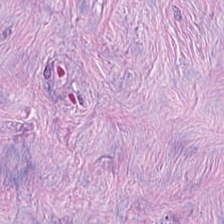H&E stain · 224×224 pixel tile.
This field is desmoplastic stroma.
